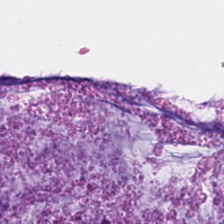Q: What does this patch show?
A: The field shows mucin.
